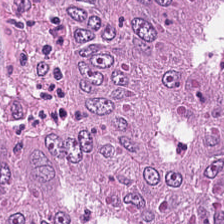FFPE · H&E · whole-slide-image patch.
The predominant tissue is malignant epithelium.
